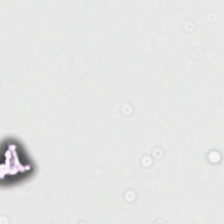20× equivalent magnification; H&E-stained tissue section; formalin-fixed paraffin-embedded section.
Field content: empty background.
